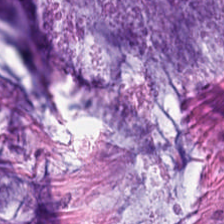H&E-stained tissue section; 224×224 px patch; 0.5 microns per pixel — Tissue class = mucus.
